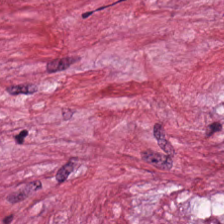H&E-stained tissue section.
This field is cancer-associated stroma.
